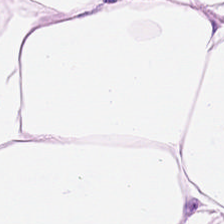Whole-slide-image patch; 0.5 microns per pixel; hematoxylin-and-eosin stained section.
The tissue here is adipose.
